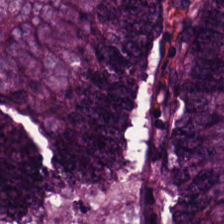FFPE tissue section; H&E stain; 0.5 µm per pixel.
Tissue: malignant epithelium.
